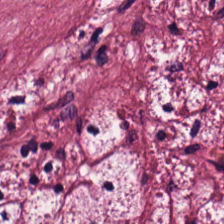H&E-stained tissue section showing cancer-associated stroma.
